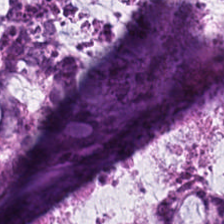H&E.
Histology → mucin.
